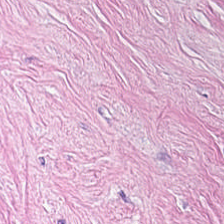H&E-stained tissue section. Q: What is shown here?
A: Tumor-associated stroma.
